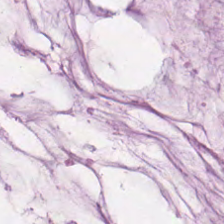The tissue class is extracellular mucin.
